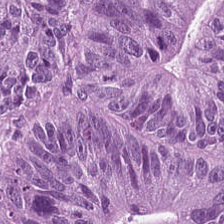Stain: hematoxylin and eosin.
Classification: malignant epithelium.
